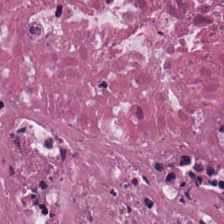Q: Identify the tissue.
A: The field shows cellular debris.
